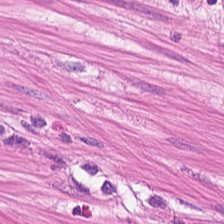Q: What is shown in this field?
A: Smooth-muscle tissue.
